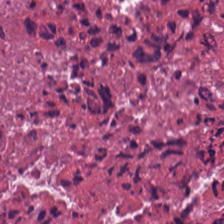Finding → necrotic debris.
